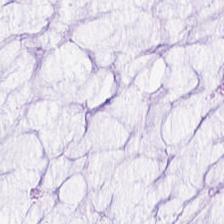Hematoxylin-and-eosin stained section. 224×224 pixel tile — This field is mucus.
